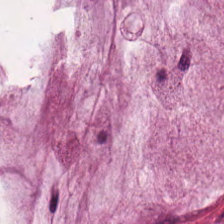Classification = extracellular mucin.
